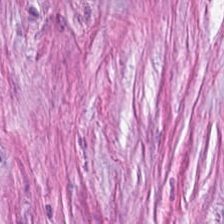H&E-stained tissue section; WSI patch — Showing desmoplastic stroma.
